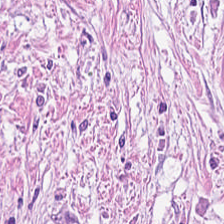H&E-stained tissue section — Q: What is the predominant tissue type?
A: Desmoplastic stroma.
